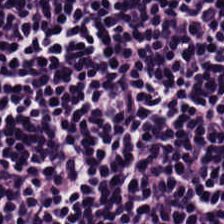Hematoxylin and eosin.
Q: Classify this patch.
A: This is lymphocyte aggregate.
